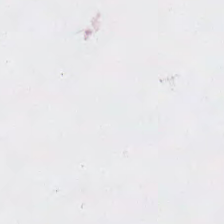H&E stain. WSI patch. 224×224 px patch — Histology — no tissue.
